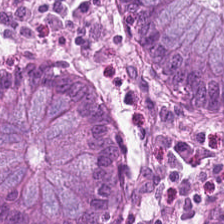H&E-stained tissue section; 224×224 pixel tile.
Histology → non-neoplastic colon mucosa.
